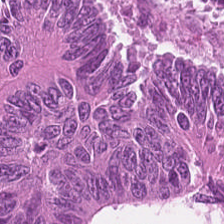Q: What is shown in this field?
A: Tumor epithelium.
